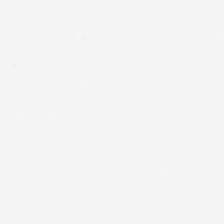Brightfield; H&E stain. Background — no tissue in this field.
